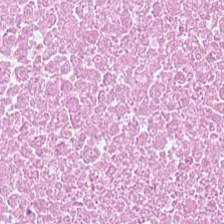H&E stain. The predominant tissue is debris.
